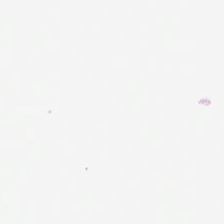H&E-stained tissue section — No tissue present; background only.
